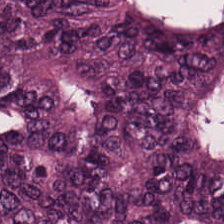Tissue: malignant epithelium.
